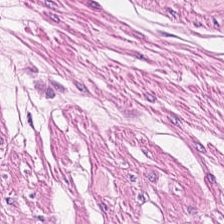224×224 px patch · hematoxylin and eosin. Impression → smooth-muscle tissue.
